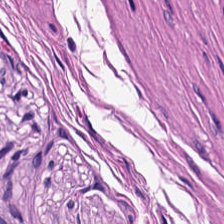H&E — Showing smooth muscle.
